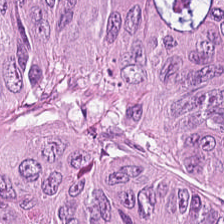Malignant epithelium.
